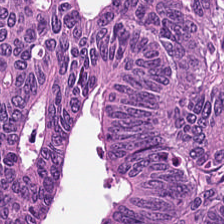Q: What does this patch show?
A: The field shows adenocarcinoma.
